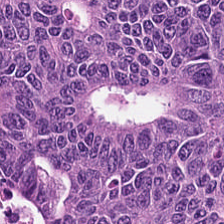H&E · 224×224 px tile.
Q: What is shown here?
A: The field shows colorectal adenocarcinoma epithelium.
